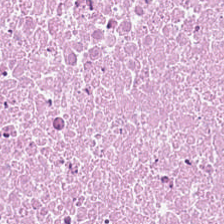Brightfield microscopy; 0.5 µm per pixel; hematoxylin and eosin.
This field is debris.
